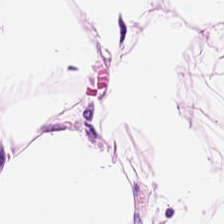Tissue type: adipocytes.
